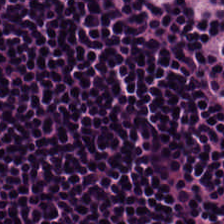Finding — lymphocyte aggregate.
